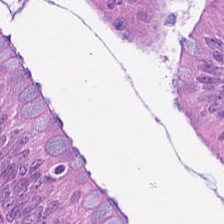Tissue type: tumor epithelium.
